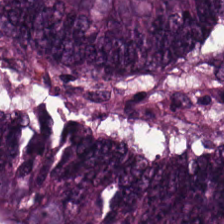Hematoxylin and eosin. The predominant tissue is colorectal adenocarcinoma epithelium.
